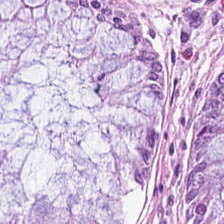Hematoxylin-and-eosin stained section — Tissue class: normal colon mucosa.
